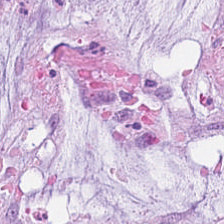Whole-slide-image patch. H&E stain — Q: What tissue is shown?
A: This is mucus.
